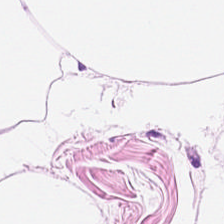Hematoxylin-and-eosin stained section. This patch shows adipocytes.
